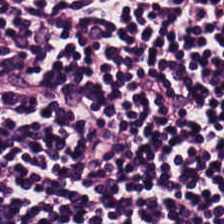H&E stain.
Histology — lymphoid infiltrate.
